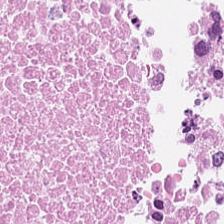FFPE tissue section · H&E stain. Tissue: debris.
